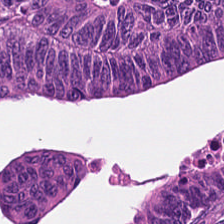Predominantly tumor epithelium.
